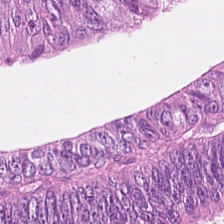H&E — The tissue here is tumor epithelium.
